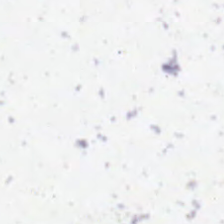H&E stain.
Q: Classify this patch.
A: This is background.
